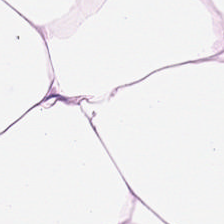Hematoxylin and eosin.
Predominant tissue — adipocytes.
